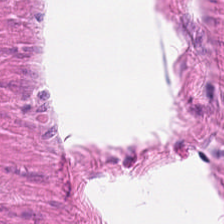H&E stain.
Predominant tissue — muscularis.
